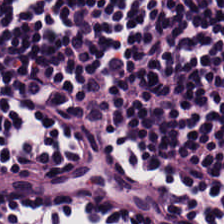224×224 px tile · hematoxylin and eosin · brightfield microscopy. Predominantly lymphoid infiltrate.
